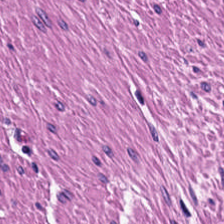H&E-stained tissue section · FFPE tissue section. Q: What does this patch show?
A: The field shows smooth-muscle tissue.
